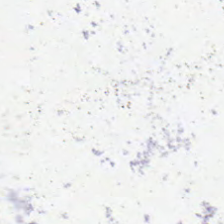H&E-stained tissue section · FFPE. Empty field — background.
